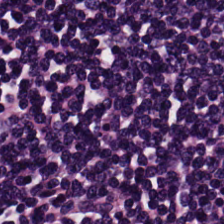Hematoxylin and eosin. Q: Identify the tissue.
A: Lymphocyte aggregate.
